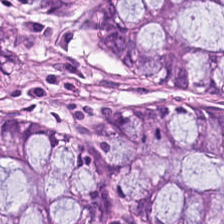Brightfield. H&E stain. Q: What tissue is shown?
A: It is non-neoplastic colon mucosa.
